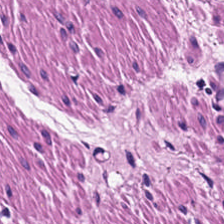H&E stain · 224×224 px patch.
Tissue: smooth-muscle tissue.
